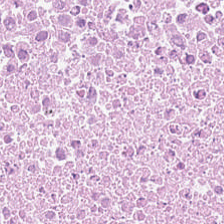Brightfield · H&E · FFPE. Q: Classify this patch.
A: The field shows debris.
